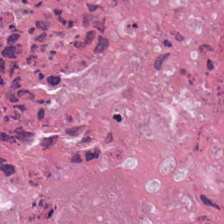Hematoxylin-and-eosin stained section. This field is debris.
